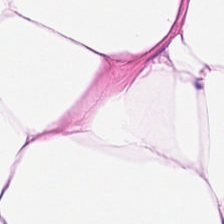Stain: H&E stain.
Preparation: FFPE tissue section.
Classification: adipocytes.
